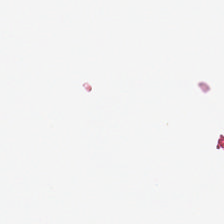H&E stain — No tissue present; background only.
